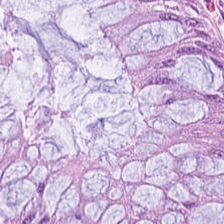Showing benign colonic mucosa.
